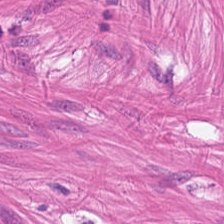Whole-slide-image patch · H&E stain — This field is smooth-muscle tissue.
